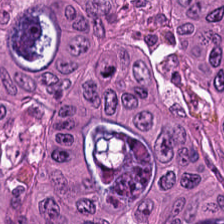H&E stain.
This field is colorectal adenocarcinoma.
